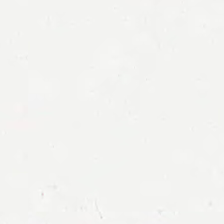H&E. Q: What is shown in this field?
A: Background (no tissue).
